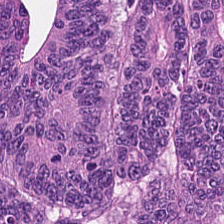H&E stain · formalin-fixed paraffin-embedded section — Q: What tissue is shown?
A: The field shows colorectal adenocarcinoma.
